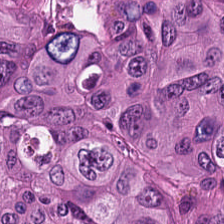Hematoxylin and eosin. 224×224 pixel tile.
Q: What type of tissue is this?
A: Malignant epithelium.
